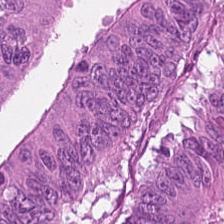H&E-stained tissue section. Q: What does this patch show?
A: This is colorectal adenocarcinoma.
